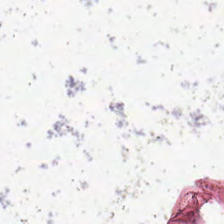Stain: hematoxylin and eosin.
Resolution: 0.5 µm/px.
Acquisition: WSI patch.
Classification: empty background.
